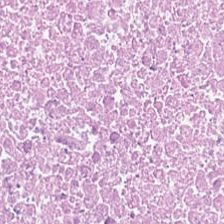Hematoxylin-and-eosin stained section.
The tissue is cellular debris.
